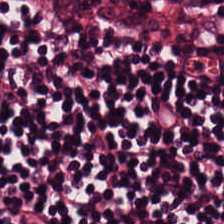Hematoxylin-and-eosin stained section · brightfield.
Predominantly lymphoid infiltrate.
